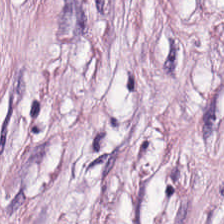H&E.
Showing tumor stroma.
